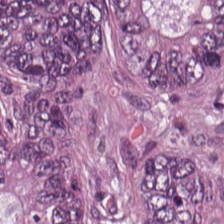H&E-stained tissue section — This patch shows adenocarcinoma.
